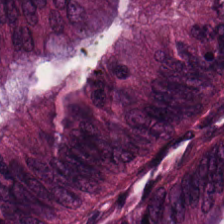WSI patch. H&E-stained tissue section. FFPE.
Predominant tissue = tumor epithelium.
